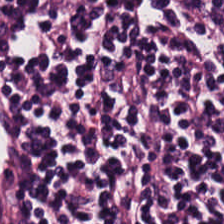This field is lymphocytic infiltrate.
